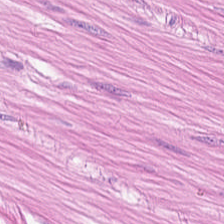FFPE. 0.5 microns per pixel. H&E-stained tissue section. Q: What is shown in this field?
A: It is smooth muscle.
